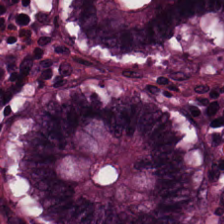H&E-stained tissue section. Classification — benign colonic mucosa.
